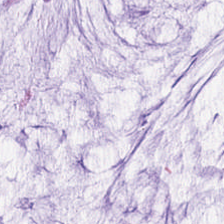Hematoxylin and eosin. Classification: extracellular mucin.
